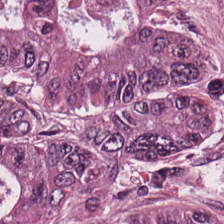Brightfield; H&E; formalin-fixed paraffin-embedded section. Histology → malignant epithelium.
